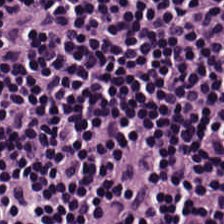0.5 microns per pixel. Formalin-fixed paraffin-embedded section. Hematoxylin-and-eosin stained section.
Predominant tissue: lymphocytic infiltrate.
